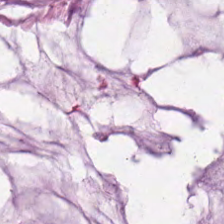0.5 microns per pixel; H&E.
{"tissue_type": "mucin"}
